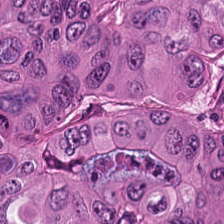H&E · 20× equivalent magnification. The tissue class is tumor epithelium.
